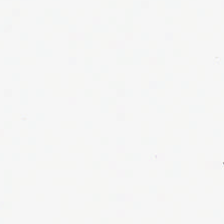H&E-stained tissue section. Content — background.
